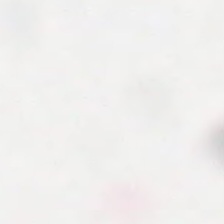H&E-stained tissue section · formalin-fixed paraffin-embedded section.
Finding → background.
